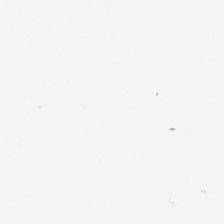FFPE tissue section; hematoxylin and eosin. The content is no tissue.
